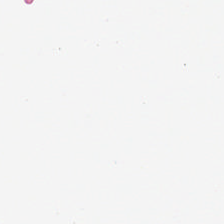H&E stain. FFPE.
Empty background.
